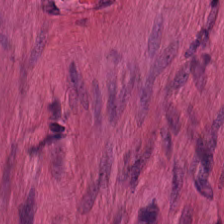H&E — Tissue = smooth-muscle tissue.
